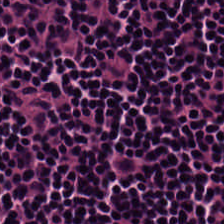Stain: hematoxylin-and-eosin stained section.
Predominant tissue: lymphocytic infiltrate.
